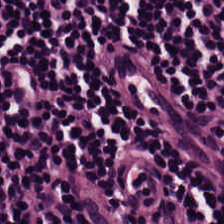0.5 µm/px · hematoxylin and eosin — Tissue type — lymphocyte aggregate.
